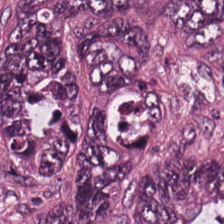H&E.
The predominant tissue is malignant epithelium.
